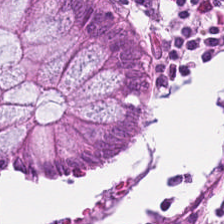FFPE tissue section · H&E-stained tissue section — The tissue here is normal colonic mucosa.
